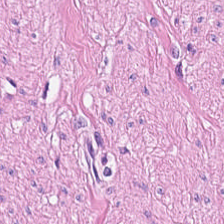{"tissue_type": "muscularis"}
